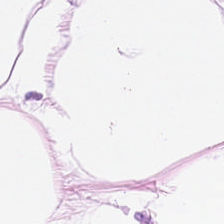H&E stain.
Q: What tissue is shown?
A: It is adipocytes.
